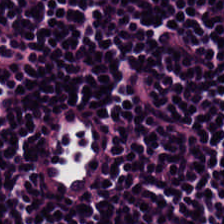Hematoxylin-and-eosin stained section.
Predominant tissue = lymphocyte aggregate.
